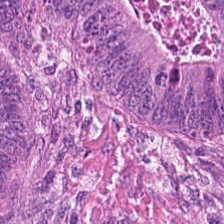Formalin-fixed paraffin-embedded section. 20× equivalent magnification. Hematoxylin-and-eosin stained section. Histology → colorectal adenocarcinoma epithelium.
